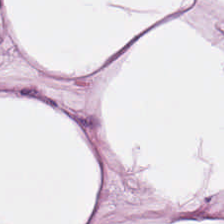H&E. Q: What is shown in this field?
A: It is fat tissue.
